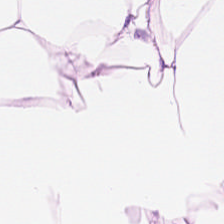Brightfield · 224×224 px tile · H&E stain.
Predominant tissue — adipose tissue.
